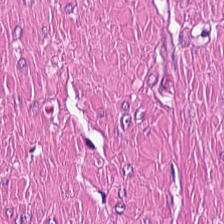H&E patch showing muscularis.
